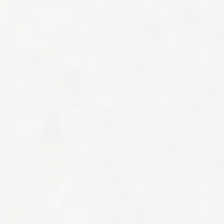H&E · 0.5 µm per pixel.
Impression → no tissue.
